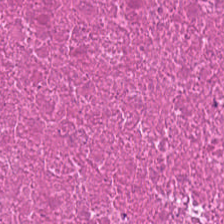H&E — necrotic debris.
